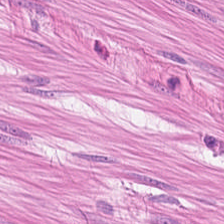H&E. 0.5 µm per pixel. 224×224 px tile — Predominantly muscularis.
